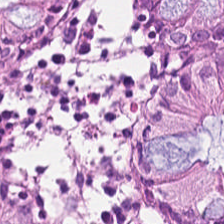H&E-stained tissue section. Formalin-fixed paraffin-embedded section.
The tissue class is benign colonic mucosa.
